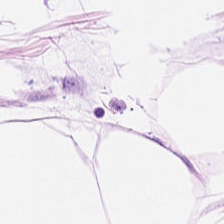Hematoxylin-and-eosin stained section · 224×224 px patch · WSI patch.
Classification = fat tissue.
